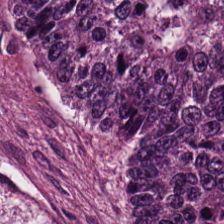Stain: H&E-stained tissue section.
Acquisition: WSI patch.
Predominant tissue: colorectal adenocarcinoma epithelium.
